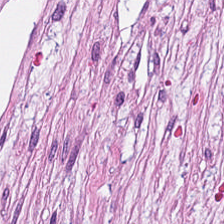Formalin-fixed paraffin-embedded section. H&E. 0.5 µm/px.
{"tissue_type": "tumor-associated stroma"}
